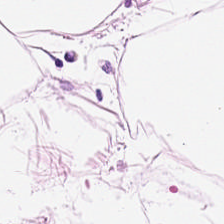Histology — fat tissue.
